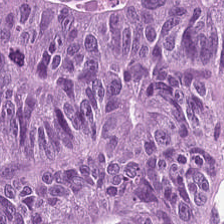224×224 px patch. H&E-stained tissue section — The tissue here is colorectal adenocarcinoma epithelium.
